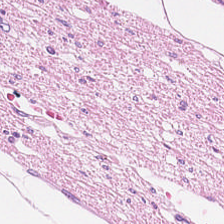H&E.
Classification — muscularis.
